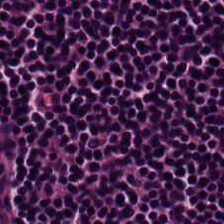This field is lymphocytes.
